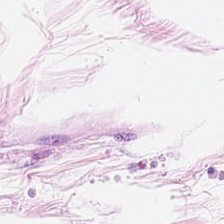Hematoxylin and eosin.
Tissue class — adipocytes.
